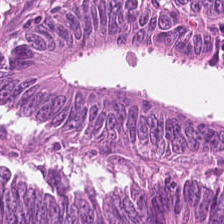Brightfield. H&E. Predominantly colorectal adenocarcinoma.
